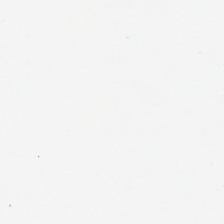Q: What is shown in this field?
A: It is background (no tissue).
